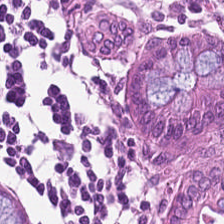H&E. 0.5 microns per pixel — The tissue type is normal colon mucosa.
